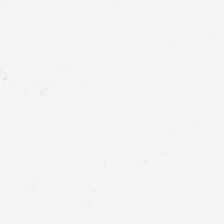Brightfield · H&E — {"content": "no tissue"}
